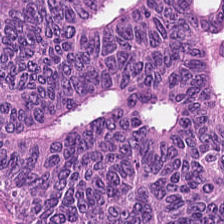H&E — The tissue here is malignant epithelium.
